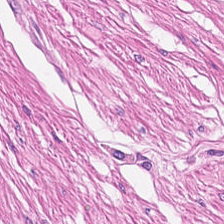H&E; 224×224 pixel tile.
Classification: smooth muscle.
